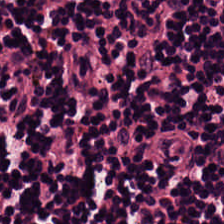H&E · brightfield · 224×224 px patch.
Tissue = lymphocyte aggregate.
